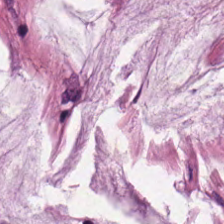Hematoxylin and eosin. Tissue: mucin.
